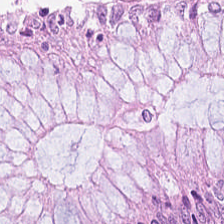H&E stain. Classification = normal colon mucosa.
